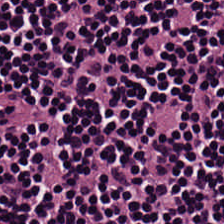H&E-stained tissue section. FFPE — Q: What is the predominant tissue type?
A: It is lymphoid infiltrate.
